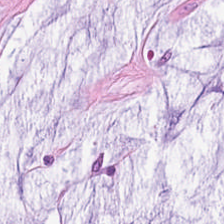H&E-stained tissue section. WSI patch. Formalin-fixed paraffin-embedded section. Tissue type — mucin.
